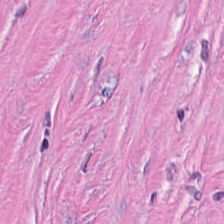H&E. {"tissue_type": "tumor-associated stroma"}
